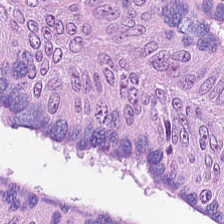The tissue class is colorectal adenocarcinoma epithelium.
